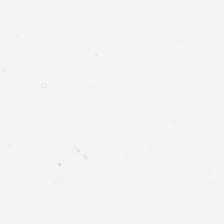This field is background (no tissue).
